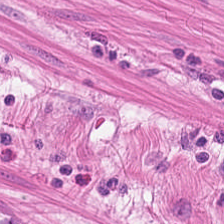H&E.
Q: What is shown in this field?
A: It is smooth-muscle tissue.
